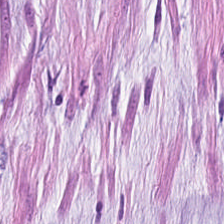H&E patch showing extracellular mucin.
